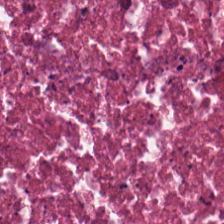H&E — Tissue: necrotic debris.
